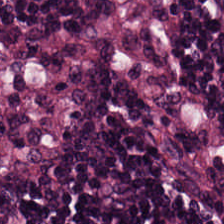Whole-slide-image patch · H&E stain — Q: What is shown here?
A: Lymphocyte aggregate.
